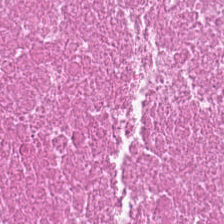0.5 µm/px. Hematoxylin-and-eosin stained section. Tissue class — necrotic debris.
